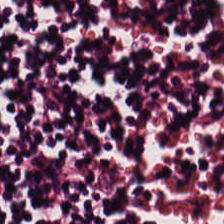H&E — The tissue here is lymphoid infiltrate.
